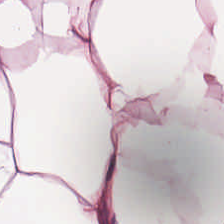Hematoxylin-and-eosin stained section.
This field is adipose.
